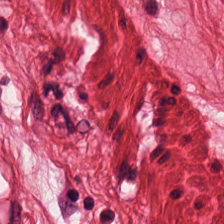Brightfield · 0.5 µm/px · hematoxylin and eosin — Tissue class — muscularis.
